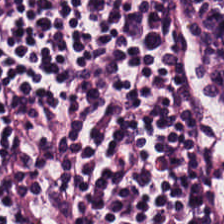H&E stain — Lymphocytic infiltrate.
